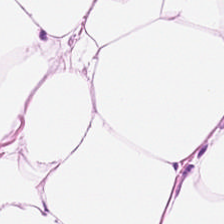H&E stain. Whole-slide-image patch.
Q: What tissue is shown?
A: Adipocytes.
